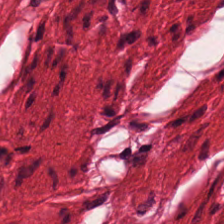Impression → muscularis.
